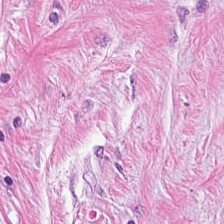Hematoxylin and eosin. Tissue class — tumor-associated stroma.
